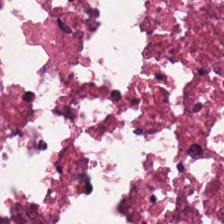Brightfield microscopy; FFPE tissue section; hematoxylin-and-eosin stained section. Tissue — necrotic debris.
